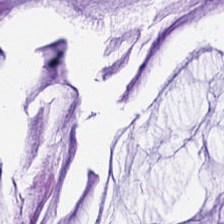Hematoxylin and eosin — Predominantly mucin.
